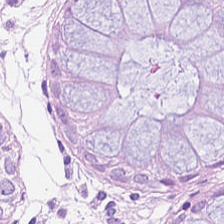The tissue class is non-neoplastic colon mucosa.
